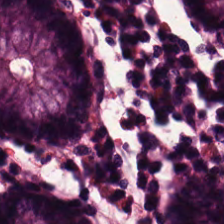Predominantly non-neoplastic colon mucosa.
